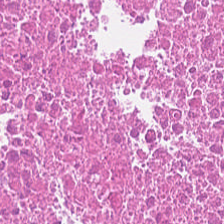Formalin-fixed paraffin-embedded section · H&E. Tissue class = debris.
